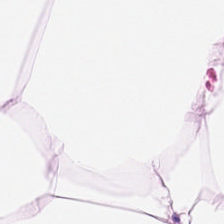224×224 pixel tile. Hematoxylin and eosin. Fat tissue.
